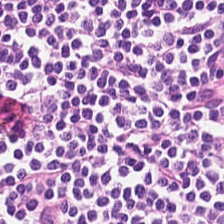H&E stain. 224×224 px patch.
The tissue class is lymphocyte aggregate.
